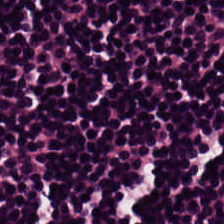H&E stain.
The predominant tissue is lymphocytes.
